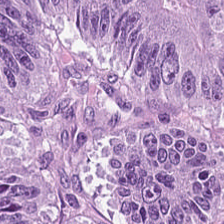The predominant tissue is colorectal adenocarcinoma.
